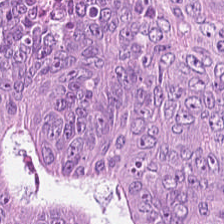H&E stain. {"tissue_type": "colorectal adenocarcinoma"}
